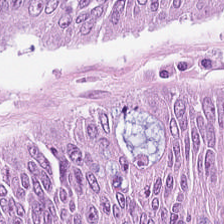The tissue here is colorectal adenocarcinoma epithelium.
